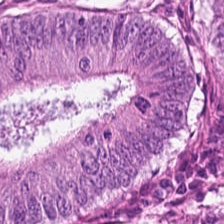The tissue class is colorectal adenocarcinoma epithelium.
